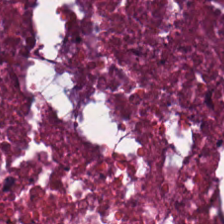FFPE tissue section; H&E — {"tissue_type": "debris"}
